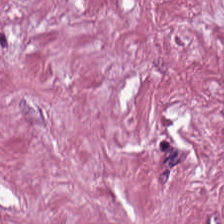Stain: H&E stain.
Acquisition: whole-slide-image patch.
Tile size: 224×224 px tile.
Predominant tissue: desmoplastic stroma.
